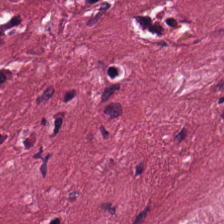Hematoxylin-and-eosin stained section. Q: What tissue is shown?
A: It is cancer-associated stroma.
